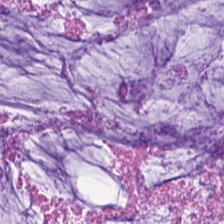Tissue class: mucin.
